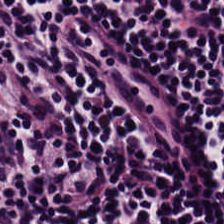H&E-stained tissue section. 224×224 px tile — The predominant tissue is lymphocyte aggregate.
